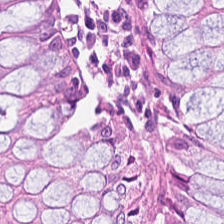H&E stain. Classification = benign colonic mucosa.
